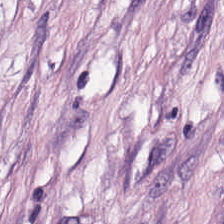H&E stain; WSI patch — Q: What is shown here?
A: It is tumor stroma.
